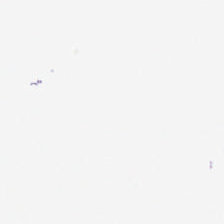H&E-stained tissue section · 224×224 px tile. Content: background.
